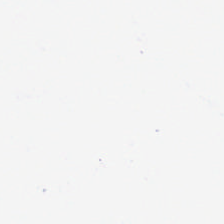Classification — background (no tissue).
